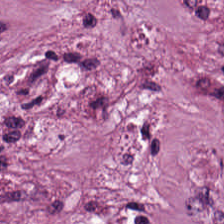Stain: H&E-stained tissue section.
Tile size: 224×224 px tile.
Tissue: desmoplastic stroma.
